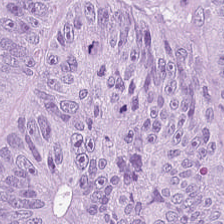Brightfield microscopy; hematoxylin-and-eosin stained section — The tissue here is adenocarcinoma.
